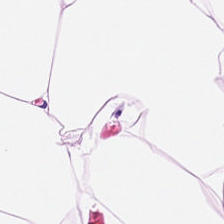H&E stain.
Q: What does this patch show?
A: The field shows adipocytes.
